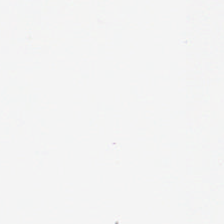Whole-slide-image patch; H&E — Q: What is shown here?
A: It is empty background.
